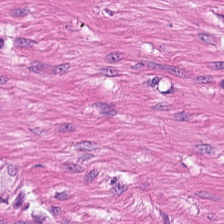H&E patch showing smooth-muscle tissue.
